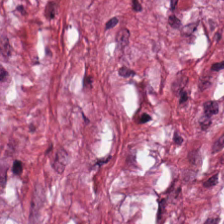Brightfield microscopy; 224×224 px patch; H&E stain.
Showing tumor stroma.
